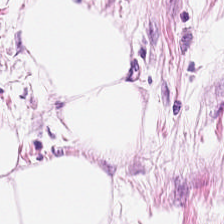The predominant tissue is adipocytes.
